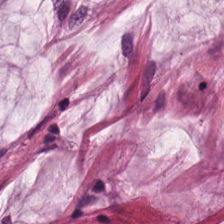Brightfield microscopy. H&E stain. 224×224 px patch. Tissue type = mucus.
